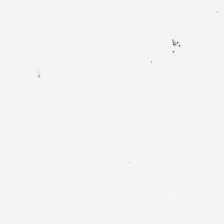Brightfield. H&E stain. Q: What does this patch show?
A: This is background.
